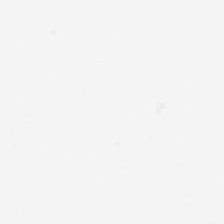Brightfield; hematoxylin and eosin — Field content: no tissue.
